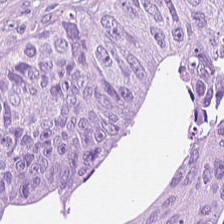0.5 µm/px · H&E stain · FFPE tissue section — Tissue class — colorectal adenocarcinoma.
